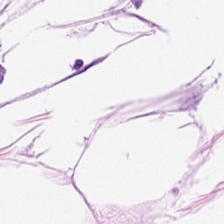H&E. Brightfield. 0.5 µm/px — Adipose.
